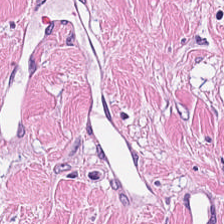H&E stain · 224×224 px tile · brightfield microscopy — Q: What type of tissue is this?
A: Cancer-associated stroma.
